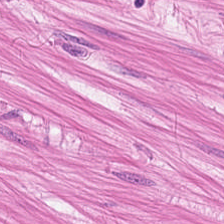0.5 microns per pixel. 224×224 px tile. Hematoxylin and eosin — Tissue class — muscularis.
